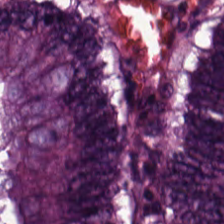Stain: H&E-stained tissue section.
Predominant tissue: malignant epithelium.
